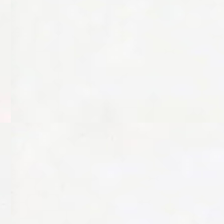0.5 µm per pixel. H&E. Classification — background (no tissue).
